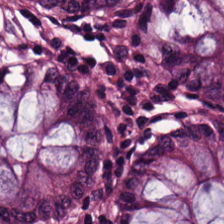H&E-stained tissue section showing benign colonic mucosa.
